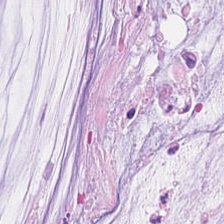Predominant tissue — mucus.
